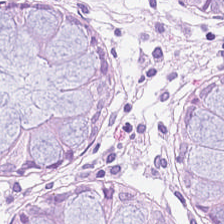H&E-stained section; the field shows normal colonic mucosa.
